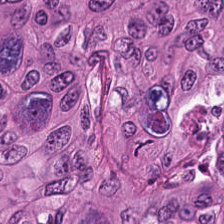Hematoxylin and eosin · 224×224 px patch · WSI patch. Histology → adenocarcinoma.
